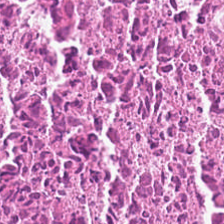20× equivalent magnification · H&E — Q: What tissue is shown?
A: It is debris.
